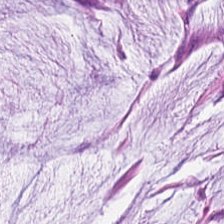H&E stain · FFPE tissue section.
Q: What is shown here?
A: Mucin.
